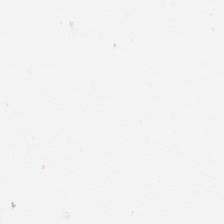H&E stain.
Classification — empty background.
